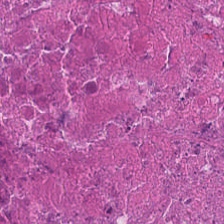Q: Identify the tissue.
A: The field shows necrotic debris.
